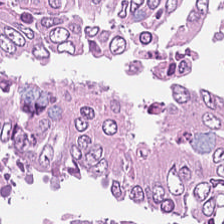Hematoxylin and eosin. This field is adenocarcinoma.
